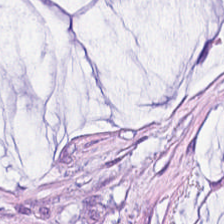Tissue = extracellular mucin.
